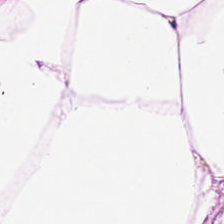Whole-slide-image patch. H&E. Formalin-fixed paraffin-embedded section.
Predominant tissue: adipocytes.
